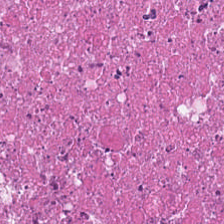Hematoxylin and eosin · 224×224 pixel tile · brightfield.
The tissue is necrotic debris.
